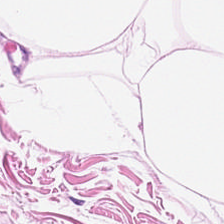Predominantly adipose tissue.
